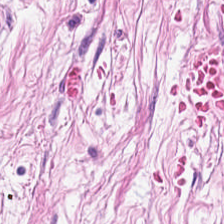Hematoxylin and eosin.
This patch shows cancer-associated stroma.
